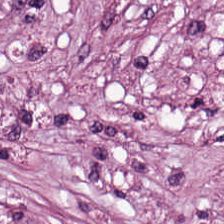H&E patch showing cancer-associated stroma.
